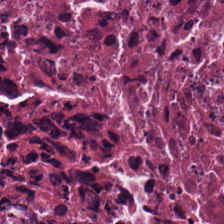H&E.
The tissue here is necrotic debris.
